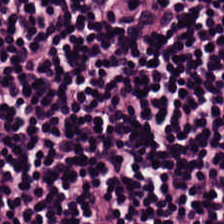H&E — lymphocytes.
